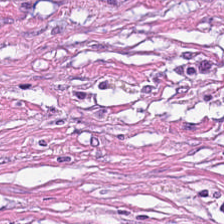WSI patch · H&E. Classification = tumor stroma.
